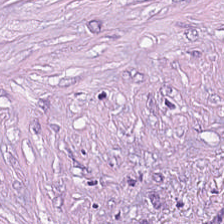Tissue type — tumor stroma.
